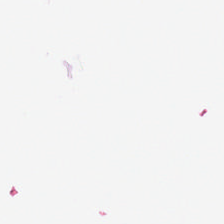Stain: H&E.
Content: background.
